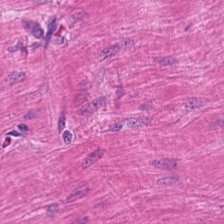Whole-slide-image patch; H&E stain. Smooth muscle.
